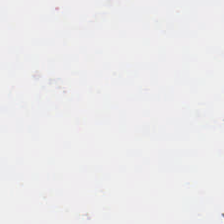224×224 pixel tile. Hematoxylin and eosin — Histology — background (no tissue).
